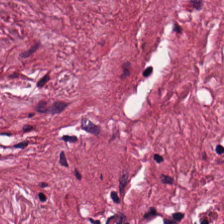Q: What type of tissue is this?
A: Tumor-associated stroma.
